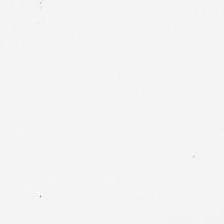Hematoxylin-and-eosin stained section.
Q: What is shown here?
A: The field shows empty background.
